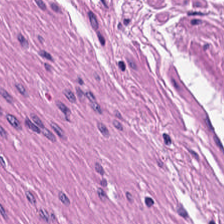H&E-stained tissue section.
Histology — smooth muscle.
